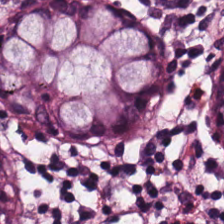Hematoxylin and eosin; 0.5 microns per pixel.
Impression → normal colonic mucosa.
